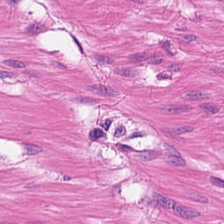H&E-stained tissue section · WSI patch — Predominant tissue: smooth muscle.
